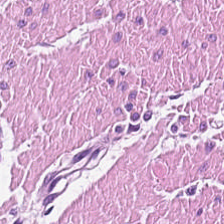Hematoxylin-and-eosin stained section — Showing smooth muscle.
